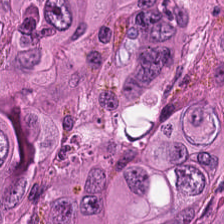H&E-stained tissue section — Q: Classify this patch.
A: Colorectal adenocarcinoma epithelium.
